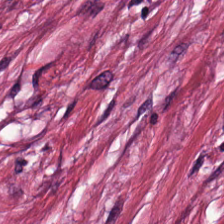Hematoxylin and eosin — Histology — desmoplastic stroma.
